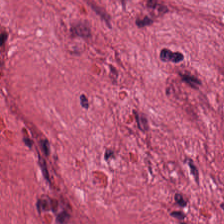Hematoxylin and eosin.
Predominantly tumor stroma.
